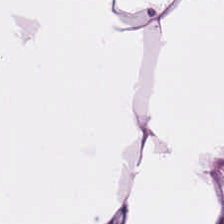Hematoxylin-and-eosin stained section.
Q: What is the predominant tissue type?
A: It is adipose.
